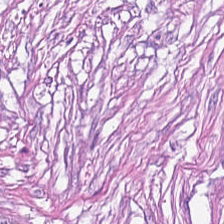Stain: H&E.
Tissue type: tumor-associated stroma.
